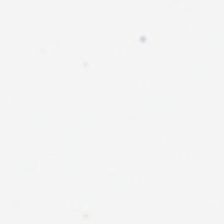Stain: hematoxylin and eosin.
Acquisition: brightfield.
Content: no tissue.
